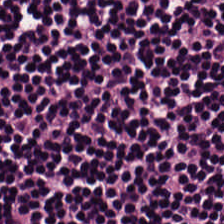H&E.
Impression — lymphocyte aggregate.
